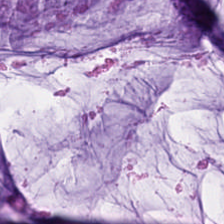H&E — Mucin.
